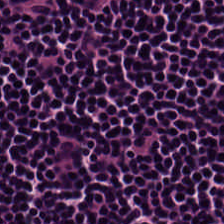Hematoxylin-and-eosin stained section. 224×224 px tile. Q: What does this patch show?
A: Lymphocyte aggregate.
